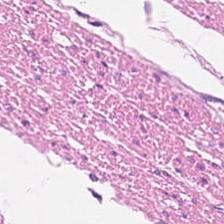H&E-stained tissue section. Q: What is shown here?
A: Smooth muscle.
